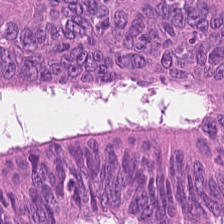Stain: hematoxylin-and-eosin stained section.
Tissue type: colorectal adenocarcinoma.
